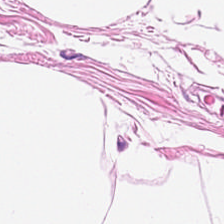H&E — Impression — adipose.
